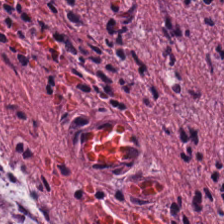224×224 px patch; H&E-stained tissue section.
Tissue type — tumor-associated stroma.
